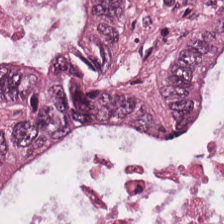20× equivalent magnification · H&E stain — The predominant tissue is malignant epithelium.
